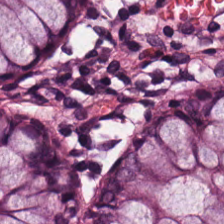Hematoxylin-and-eosin stained section.
Tissue type — benign colonic mucosa.
